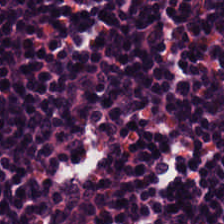H&E-stained tissue section · 224×224 px patch — The classification is lymphoid infiltrate.
